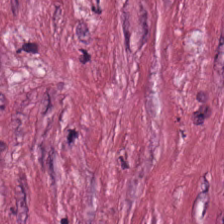H&E — desmoplastic stroma.
